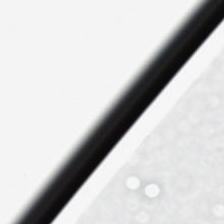Stain: hematoxylin-and-eosin stained section.
Field content: empty background.
